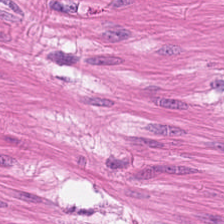Tissue type = muscularis.
